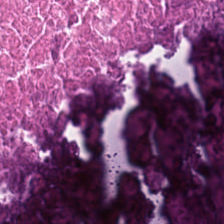H&E — Showing debris.
